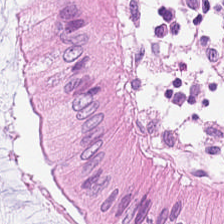Hematoxylin and eosin — Normal colon mucosa.
